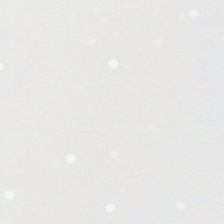Stain: H&E.
Content: background (no tissue).
